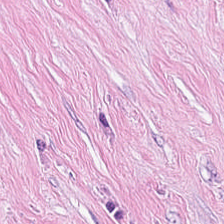H&E-stained tissue section. This patch shows desmoplastic stroma.
